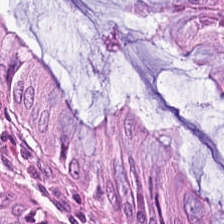224×224 px patch · H&E-stained tissue section.
Tissue class: benign colonic mucosa.
